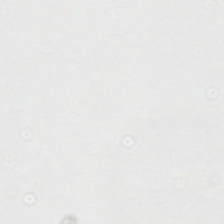H&E stain; brightfield microscopy — Background.
